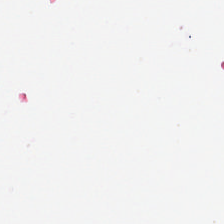0.5 microns per pixel. Formalin-fixed paraffin-embedded section. H&E stain.
Field content: background.
